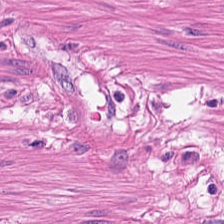FFPE. H&E. Muscularis.
